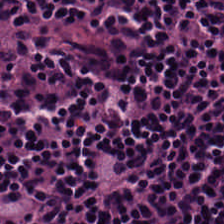Histology — lymphocytic infiltrate.
